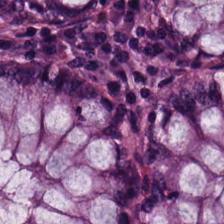Stain: H&E.
Classification: non-neoplastic colon mucosa.
